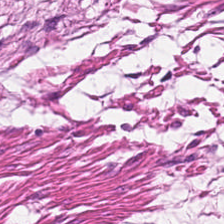Brightfield microscopy. H&E-stained tissue section.
{"tissue_type": "smooth-muscle tissue"}
